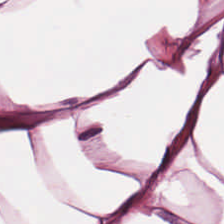Whole-slide-image patch. H&E-stained tissue section.
Tissue class = adipocytes.
